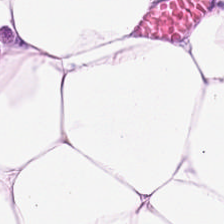0.5 µm per pixel; H&E. The predominant tissue is adipose.
